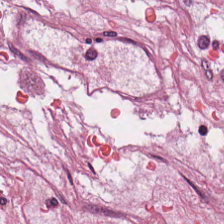H&E — tumor stroma.
